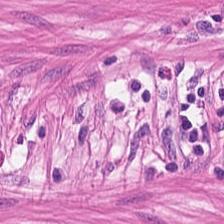H&E stain · WSI patch · 224×224 pixel tile.
Tissue = smooth-muscle tissue.
